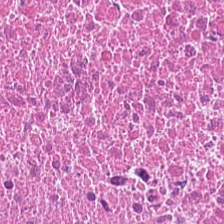Hematoxylin-and-eosin section: debris.
